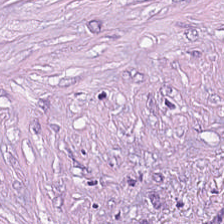H&E-stained tissue section — The tissue class is tumor stroma.
